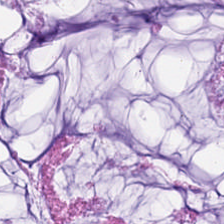Hematoxylin-and-eosin section: mucus.
